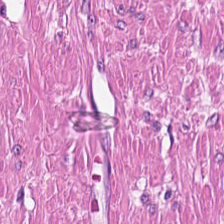H&E stain.
Predominantly smooth muscle.
